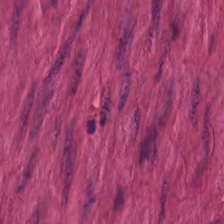H&E stain; 0.5 µm per pixel.
{"tissue_type": "muscularis"}
